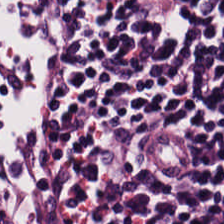H&E-stained tissue section.
Impression — lymphoid infiltrate.
